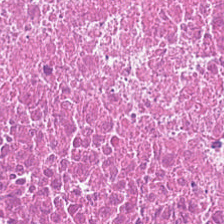H&E.
Finding — debris.
